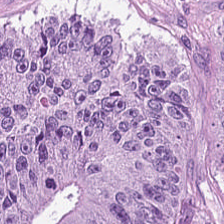H&E stain. Showing adenocarcinoma.
